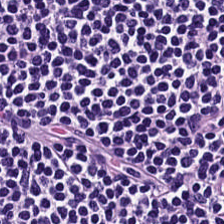H&E stain.
Q: What is shown here?
A: It is lymphocytes.
